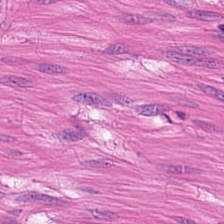Hematoxylin and eosin. This field is smooth-muscle tissue.
